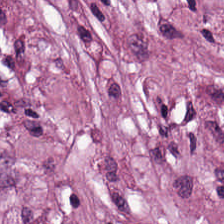The tissue here is tumor-associated stroma.
